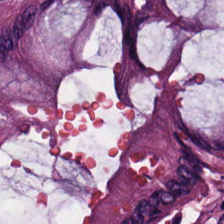Hematoxylin-and-eosin stained section — Showing normal colon mucosa.
